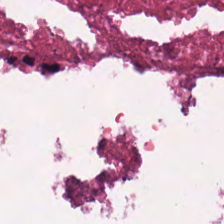Brightfield · H&E stain.
This field is necrotic debris.
